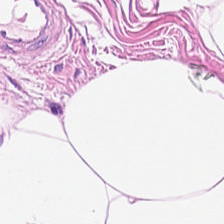Hematoxylin-and-eosin stained section. Tissue — adipocytes.
